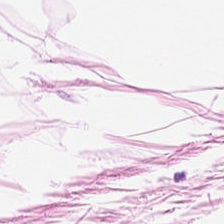Hematoxylin-and-eosin stained section. Q: What does this patch show?
A: The field shows adipose.
